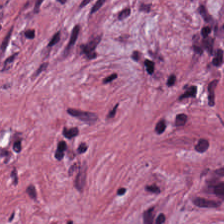0.5 µm per pixel. H&E-stained tissue section.
The predominant tissue is cancer-associated stroma.
